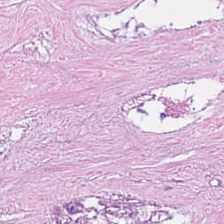Stain: H&E stain.
Tissue: cellular debris.
